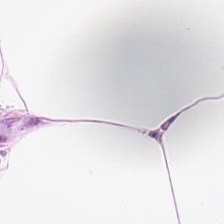H&E stain. The tissue type is adipose.
